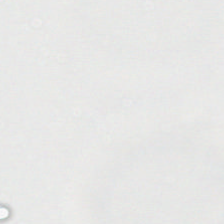Hematoxylin-and-eosin stained section — The field content is background.
